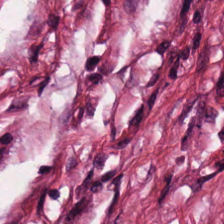Brightfield microscopy. Hematoxylin-and-eosin stained section. FFPE.
Q: Identify the tissue.
A: This is desmoplastic stroma.
